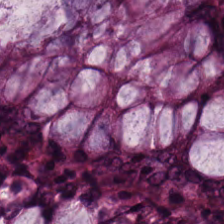WSI patch. H&E. Tissue = non-neoplastic colon mucosa.
